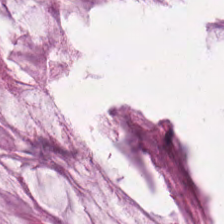H&E; 20× equivalent magnification.
Tissue class = mucus.
